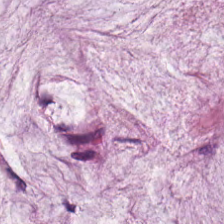Hematoxylin and eosin. Mucus.
